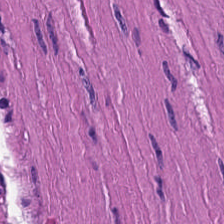The predominant tissue is smooth-muscle tissue.
